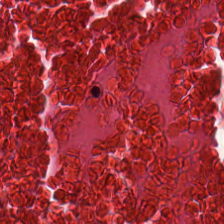Tissue — debris.
